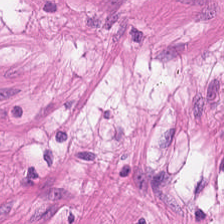Brightfield; 0.5 µm per pixel; hematoxylin and eosin.
Smooth-muscle tissue.
